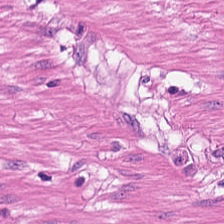H&E-stained tissue section · brightfield microscopy — Predominantly smooth muscle.
